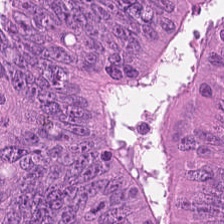Tissue class = colorectal adenocarcinoma epithelium.
